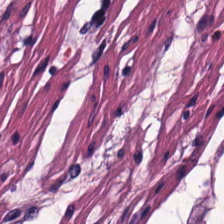Hematoxylin-and-eosin stained section.
Tissue class — smooth muscle.
